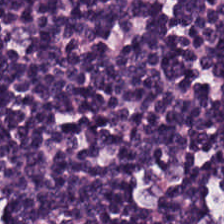Classification: lymphocytic infiltrate.
